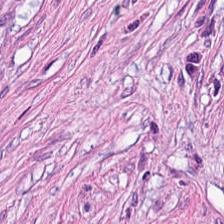H&E. Classification = tumor stroma.
